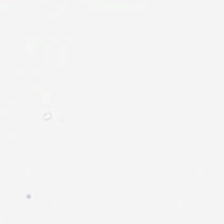H&E stain — Q: What is shown in this field?
A: The field shows background (no tissue).
